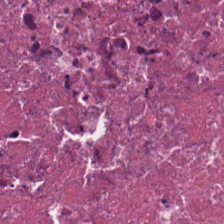H&E-stained tissue section.
Q: What is shown in this field?
A: Debris.
